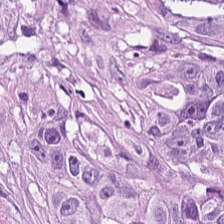H&E-stained tissue section — Predominant tissue = tumor stroma.
